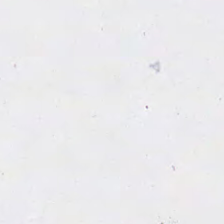{"content": "no tissue"}
